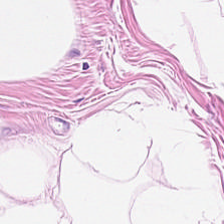Stain: H&E stain.
Tissue type: adipose tissue.
